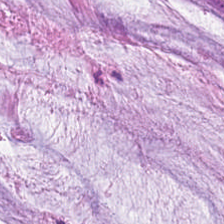H&E-stained tissue section — Predominantly mucin.
